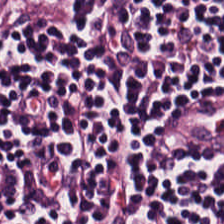H&E-stained tissue section showing lymphocytes.
